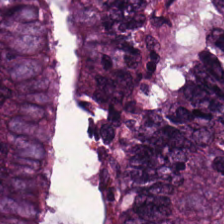Stain: hematoxylin-and-eosin stained section.
Resolution: 0.5 µm/px.
Tissue: colorectal adenocarcinoma epithelium.
